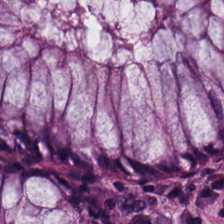Tissue type = benign colonic mucosa.
